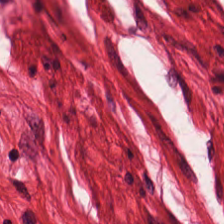Whole-slide-image patch. H&E-stained tissue section.
Impression — smooth-muscle tissue.
